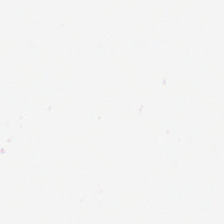H&E-stained tissue section.
Field content — background (no tissue).
